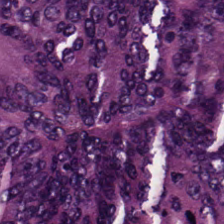Stain: hematoxylin and eosin.
Tile size: 224×224 px tile.
Resolution: 20× equivalent magnification.
Classification: adenocarcinoma.
